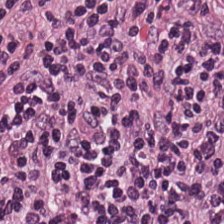Hematoxylin-and-eosin stained section. Classification — lymphocytic infiltrate.
